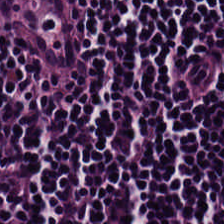Stain: hematoxylin-and-eosin stained section.
Preparation: FFPE tissue section.
Tissue: lymphocyte aggregate.
